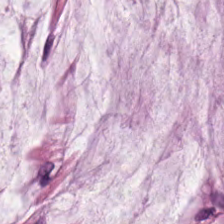Q: What is shown in this field?
A: It is mucus.
